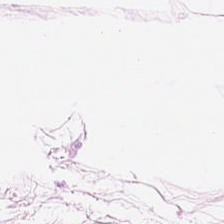Stain: H&E.
Tile size: 224×224 px tile.
Tissue type: adipocytes.
